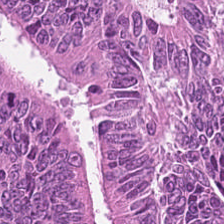H&E. 0.5 µm per pixel.
Q: Identify the tissue.
A: This is colorectal adenocarcinoma epithelium.
